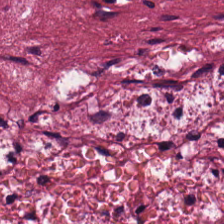H&E · whole-slide-image patch.
Q: Identify the tissue.
A: This is tumor stroma.
